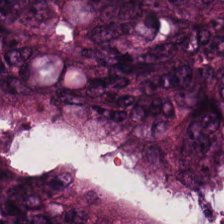Hematoxylin-and-eosin stained section — Q: What is shown in this field?
A: Adenocarcinoma.
